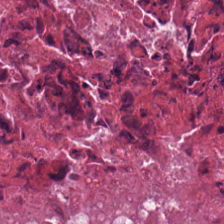224×224 px patch; FFPE; hematoxylin-and-eosin stained section. Q: What tissue type is shown here?
A: The field shows necrotic debris.
